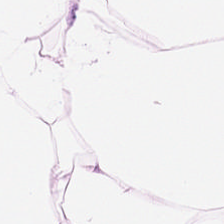Hematoxylin and eosin. Formalin-fixed paraffin-embedded section. 0.5 µm per pixel. Predominantly fat tissue.
